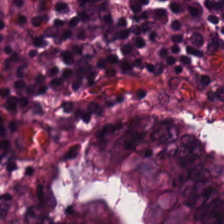Hematoxylin and eosin — Tissue class = benign colonic mucosa.
